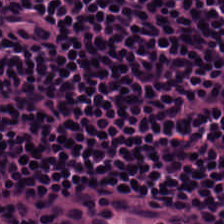H&E-stained tissue section.
Q: What type of tissue is this?
A: It is lymphocytes.
